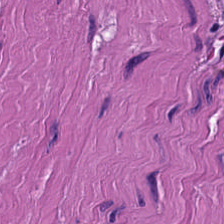Hematoxylin and eosin. Q: Identify the tissue.
A: It is smooth-muscle tissue.
